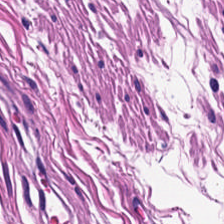Stain: hematoxylin and eosin.
Tissue class: smooth-muscle tissue.
